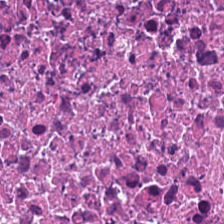The tissue here is cellular debris.
